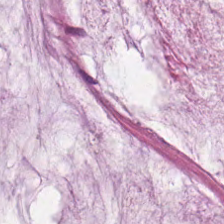Extracellular mucin.
